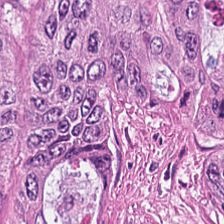224×224 px patch. Hematoxylin and eosin.
Predominantly malignant epithelium.
